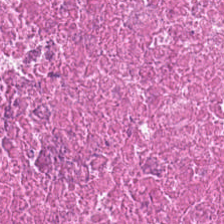Stain: H&E.
Predominant tissue: cellular debris.
